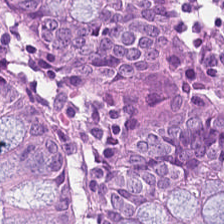H&E.
Showing benign colonic mucosa.
